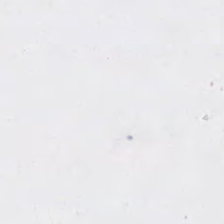Hematoxylin and eosin — Field content: empty background.
